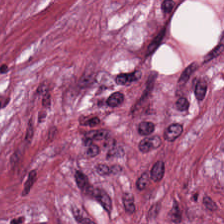Hematoxylin and eosin — Predominantly tumor-associated stroma.
